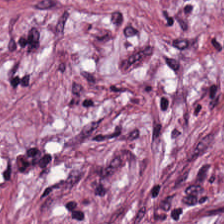224×224 px tile; H&E.
Predominant tissue = desmoplastic stroma.
